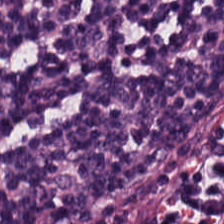Tissue class = lymphocyte aggregate.
